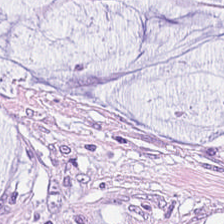224×224 pixel tile · hematoxylin and eosin · FFPE. The tissue is mucus.
